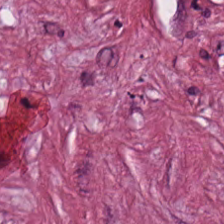H&E-stained tissue section · 224×224 px tile · 0.5 µm per pixel — Tissue class: tumor-associated stroma.
